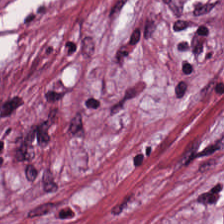H&E stain. Brightfield.
Predominantly tumor stroma.
